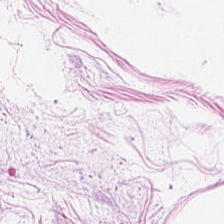H&E-stained tissue section — Classification — adipose tissue.
